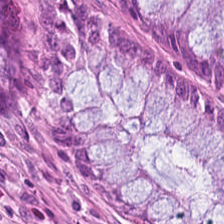Q: Classify this patch.
A: It is benign colonic mucosa.
